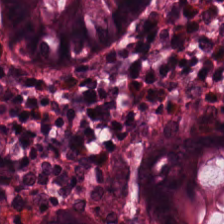H&E-stained tissue section. This field is normal colon mucosa.
